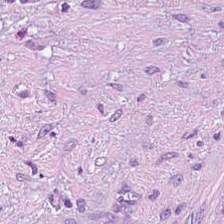Hematoxylin and eosin · 224×224 pixel tile · 0.5 µm per pixel.
Tissue class: tumor stroma.
